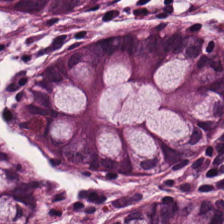The tissue type is non-neoplastic colon mucosa.
